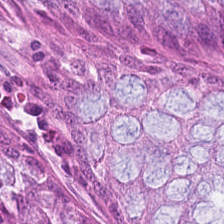Hematoxylin-and-eosin stained section · formalin-fixed paraffin-embedded section. Predominantly non-neoplastic colon mucosa.
